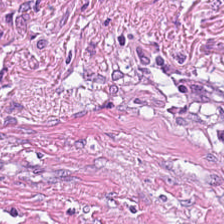Hematoxylin-and-eosin stained section. 224×224 pixel tile. 20× equivalent magnification.
Tumor-associated stroma.
